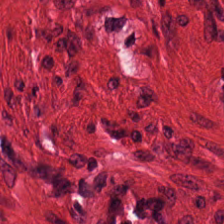H&E-stained tissue section — Q: What type of tissue is this?
A: Muscularis.
